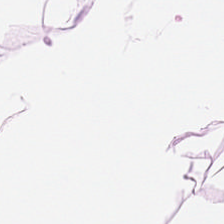WSI patch. Hematoxylin and eosin.
Q: Classify this patch.
A: Adipocytes.
